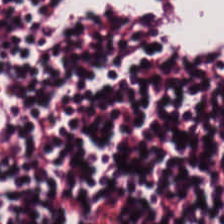H&E. Classification: lymphocytes.
